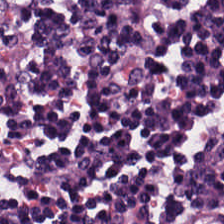H&E-stained tissue section.
Lymphoid infiltrate.
